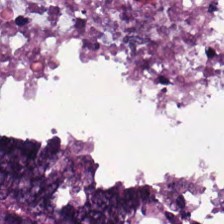Hematoxylin-and-eosin stained section. Brightfield. 224×224 pixel tile. Predominant tissue: colorectal adenocarcinoma epithelium.
